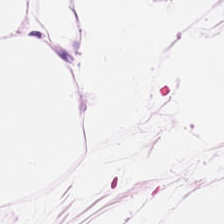Stain: hematoxylin and eosin.
Resolution: 0.5 microns per pixel.
Tile size: 224×224 px tile.
Tissue type: fat tissue.
